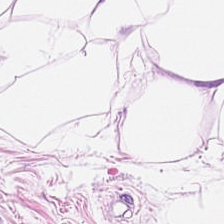Tissue = fat tissue.
